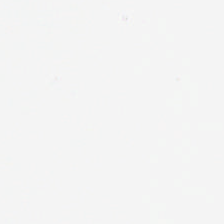H&E-stained tissue section. Classification — background (no tissue).
